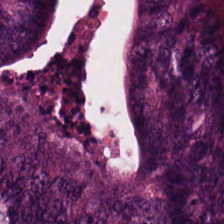H&E patch showing colorectal adenocarcinoma epithelium.
